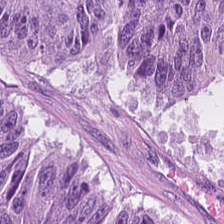Histology — tumor epithelium.
